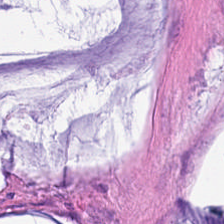Hematoxylin and eosin. Showing mucus.
